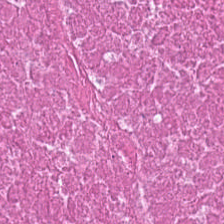H&E stain. Formalin-fixed paraffin-embedded section — Impression → cellular debris.
